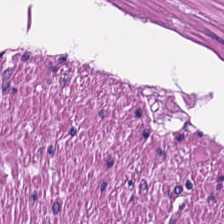Tissue class: smooth-muscle tissue.
